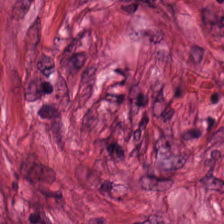H&E-stained tissue section. Tumor stroma.
